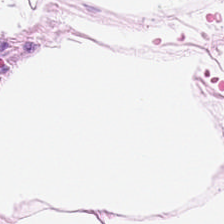224×224 pixel tile. WSI patch. Hematoxylin-and-eosin stained section. Q: What is shown in this field?
A: Adipocytes.
